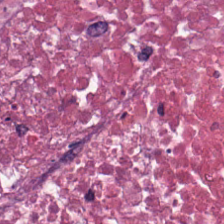Hematoxylin-and-eosin stained section; 224×224 px patch — This field is debris.
